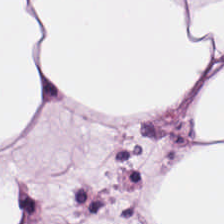Tissue type = adipose.
